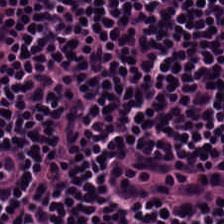Hematoxylin and eosin; 20× equivalent magnification; 224×224 pixel tile — Predominant tissue = lymphocytic infiltrate.
